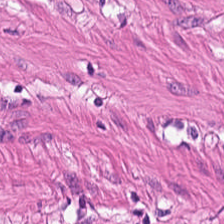Stain: H&E-stained tissue section.
Classification: smooth muscle.
